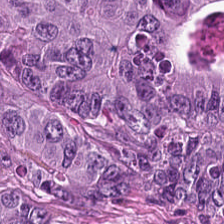Hematoxylin-and-eosin stained section. Impression → colorectal adenocarcinoma epithelium.
